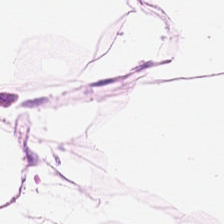Stain: H&E stain.
Acquisition: WSI patch.
Preparation: FFPE.
Predominant tissue: adipocytes.
